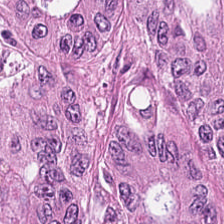Stain: H&E-stained tissue section.
Tissue type: colorectal adenocarcinoma.
